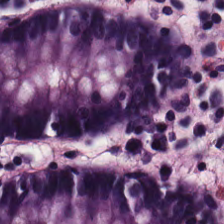Stain: H&E.
Classification: non-neoplastic colon mucosa.
